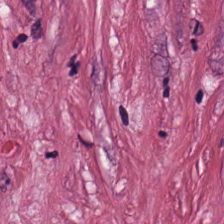Tissue class = cancer-associated stroma.
